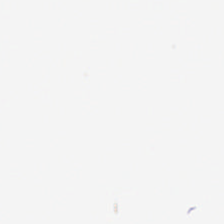Hematoxylin and eosin · brightfield · FFPE tissue section — Classification — background.
